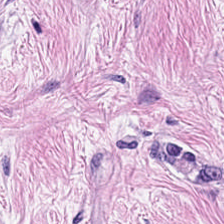H&E — Showing desmoplastic stroma.
